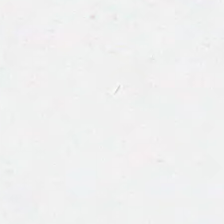Stain: hematoxylin-and-eosin stained section.
Acquisition: whole-slide-image patch.
Classification: empty background.
